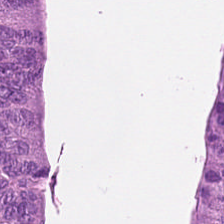Hematoxylin and eosin — The tissue here is colorectal adenocarcinoma.
